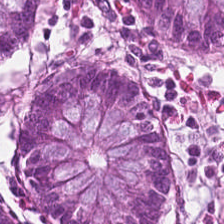H&E stain.
{"tissue_type": "benign colonic mucosa"}
